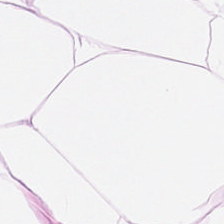FFPE tissue section · H&E stain.
Adipocytes.
